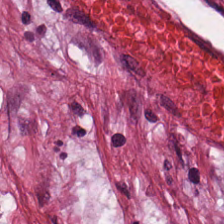H&E stain.
Tissue — tumor stroma.
